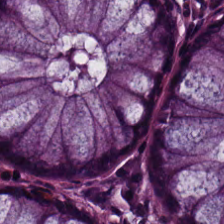224×224 px tile · H&E-stained tissue section · FFPE tissue section. Q: What is shown in this field?
A: Benign colonic mucosa.
